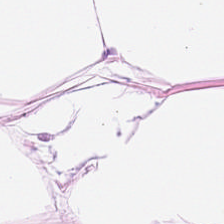H&E-stained tissue section.
Q: Classify this patch.
A: It is fat tissue.
